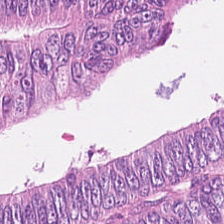Hematoxylin-and-eosin stained section. The tissue here is tumor epithelium.
